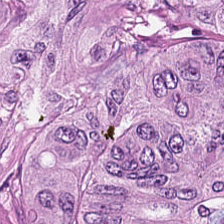Hematoxylin and eosin.
Tumor epithelium.
